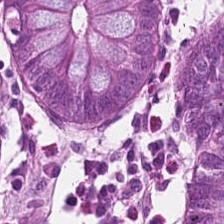Hematoxylin and eosin — Predominantly normal colonic mucosa.
